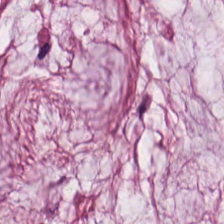Histology — extracellular mucin.
